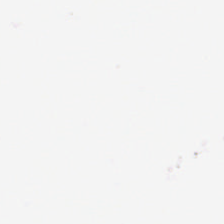Hematoxylin-and-eosin stained section. Brightfield microscopy. Classification — background (no tissue).
